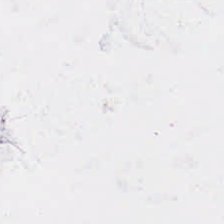H&E stain. Content = no tissue.
